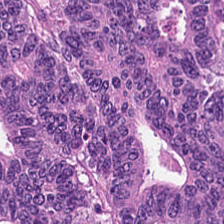0.5 microns per pixel · WSI patch · H&E. Impression → adenocarcinoma.
